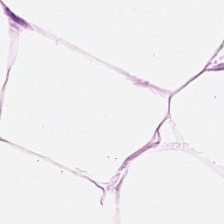H&E-stained tissue section. This field is fat tissue.
